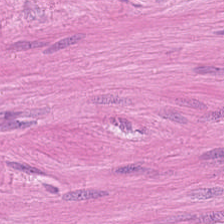Hematoxylin and eosin. 224×224 px tile. 0.5 microns per pixel — Showing smooth muscle.
